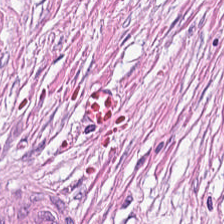FFPE · hematoxylin-and-eosin stained section. Classification = desmoplastic stroma.
